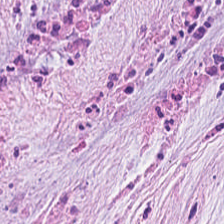Stain: H&E-stained tissue section.
Tile size: 224×224 px tile.
Resolution: 0.5 µm/px.
Predominant tissue: desmoplastic stroma.
